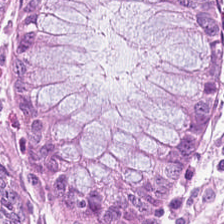Hematoxylin-and-eosin stained section. The tissue type is normal colonic mucosa.
